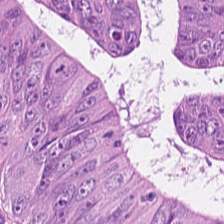H&E stain.
The tissue is malignant epithelium.
